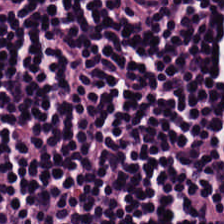H&E stain. {"tissue_type": "lymphocytic infiltrate"}
